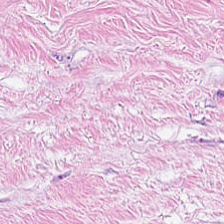The tissue type is desmoplastic stroma.
